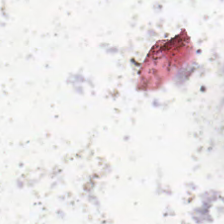Brightfield; H&E stain. This field is background (no tissue).
